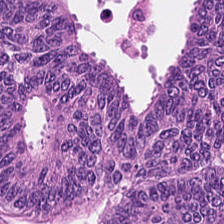Hematoxylin-and-eosin stained section. Predominant tissue = colorectal adenocarcinoma epithelium.
